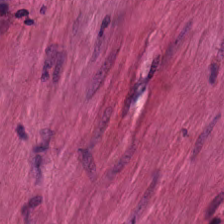WSI patch. H&E.
Showing smooth-muscle tissue.
